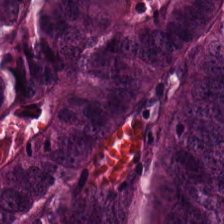0.5 microns per pixel · hematoxylin and eosin — Q: What tissue is shown?
A: It is adenocarcinoma.
